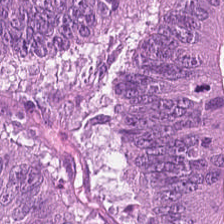H&E stain. 224×224 px patch — The predominant tissue is malignant epithelium.
